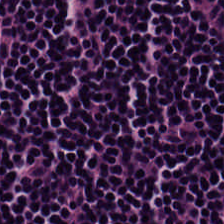224×224 pixel tile. H&E-stained tissue section — Lymphocytes.
